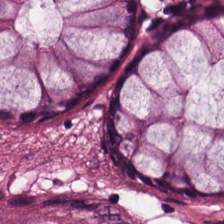Showing benign colonic mucosa.
